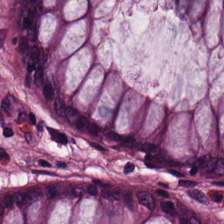Hematoxylin-and-eosin stained section — Finding — normal colon mucosa.
